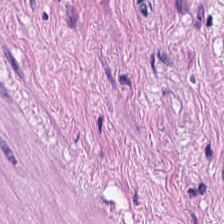20× equivalent magnification. Hematoxylin-and-eosin stained section — This field is muscularis.
